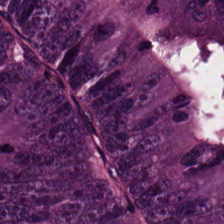H&E. 20× equivalent magnification. 224×224 px tile — Classification: malignant epithelium.
